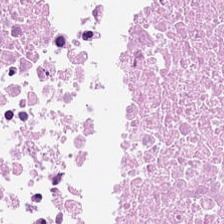Hematoxylin-and-eosin stained section; 0.5 µm/px. Tissue type = necrotic debris.
